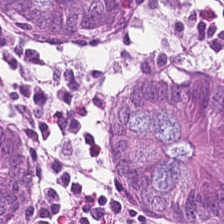224×224 px tile · H&E-stained tissue section · whole-slide-image patch. Predominantly normal colon mucosa.
